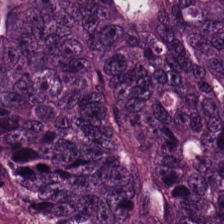H&E-stained tissue section. FFPE.
Q: What type of tissue is this?
A: The field shows tumor epithelium.
